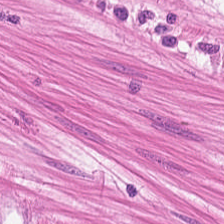H&E stain.
Histology — smooth-muscle tissue.
